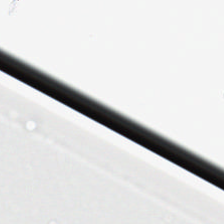Empty field — background (no tissue).
